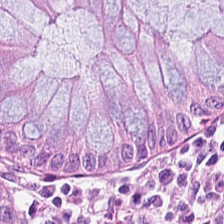Impression — benign colonic mucosa.
